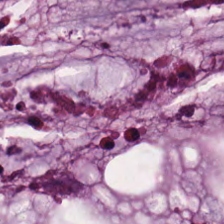H&E — Tissue type = extracellular mucin.
